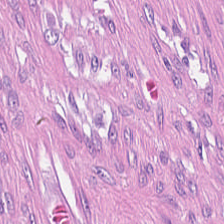Hematoxylin-and-eosin section: tumor-associated stroma.
